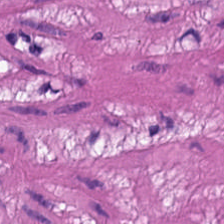{"tissue_type": "smooth muscle"}
